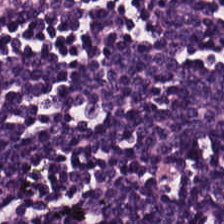H&E-stained tissue section — The predominant tissue is lymphocyte aggregate.
